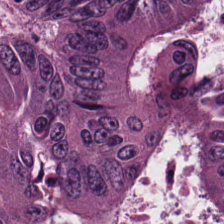H&E-stained tissue section. This patch shows colorectal adenocarcinoma epithelium.
